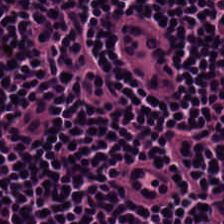H&E-stained tissue section — Tissue class — lymphoid infiltrate.
